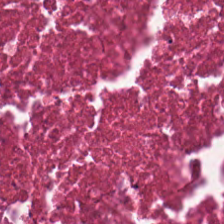Hematoxylin-and-eosin stained section.
{"tissue_type": "cellular debris"}
